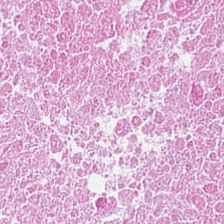0.5 µm/px · H&E stain.
Predominantly necrotic debris.
